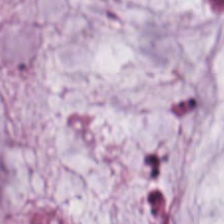Hematoxylin-and-eosin stained section. Showing mucus.
